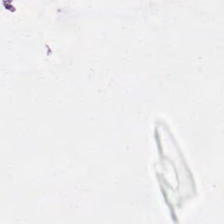Impression → empty background.
